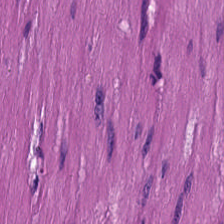Q: What tissue type is shown here?
A: It is muscularis.
